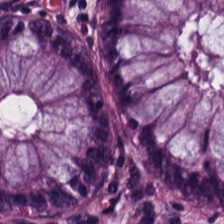H&E — The tissue here is normal colon mucosa.
